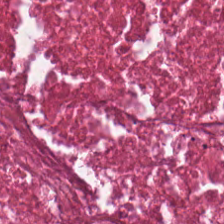H&E.
The predominant tissue is cellular debris.
